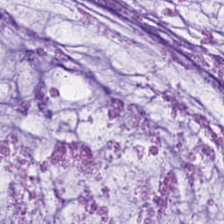H&E-stained tissue section; 224×224 px patch. {"tissue_type": "mucin"}
